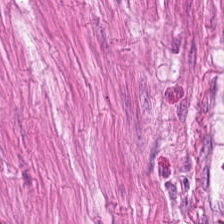H&E. 224×224 pixel tile — {"tissue_type": "smooth muscle"}
